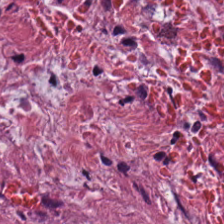Hematoxylin-and-eosin stained section.
Tissue: tumor stroma.
